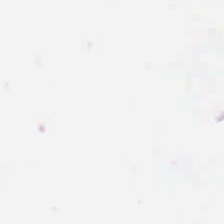Hematoxylin and eosin.
The content is background.
